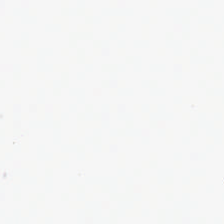H&E. Background — no tissue in this field.
